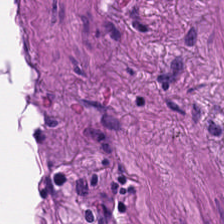Tissue class = smooth-muscle tissue.
